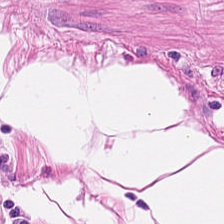H&E-stained tissue section. 0.5 microns per pixel. FFPE.
Q: What type of tissue is this?
A: Muscularis.
